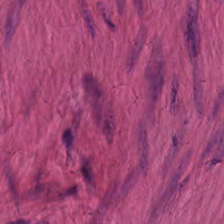H&E stain; FFPE tissue section — Q: Classify this patch.
A: Smooth muscle.
